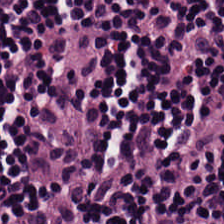Stain: H&E stain.
Tissue: lymphoid infiltrate.
